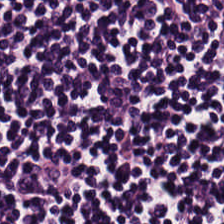Predominantly lymphocytic infiltrate.
